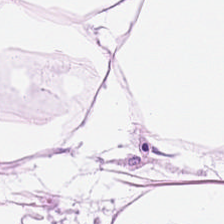The tissue type is fat tissue.
